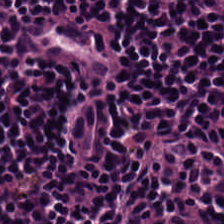{"tissue_type": "lymphocytes"}
